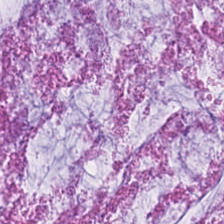Tissue class = mucus.
